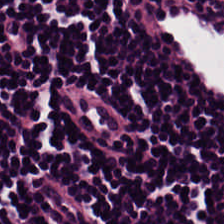Hematoxylin and eosin. Predominant tissue = lymphoid infiltrate.
